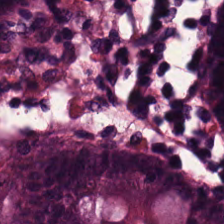Tissue class — benign colonic mucosa.
